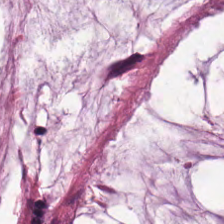Hematoxylin and eosin — Q: What is shown here?
A: The field shows mucus.
